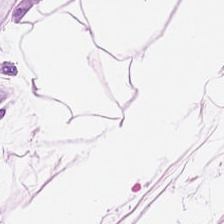Hematoxylin and eosin. Q: What is shown in this field?
A: The field shows adipocytes.
